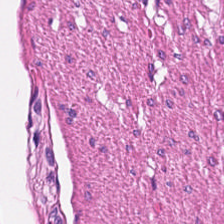H&E — muscularis.
